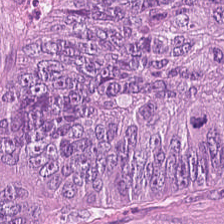H&E stain — Tissue = adenocarcinoma.
